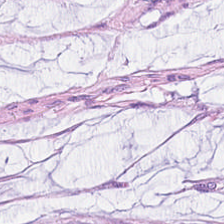H&E — Tissue class: extracellular mucin.
